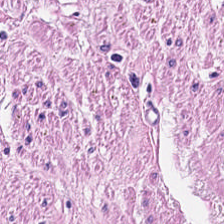H&E.
Classification — smooth muscle.
